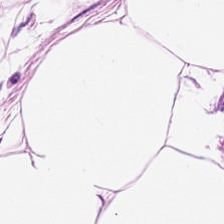20× equivalent magnification · whole-slide-image patch · H&E. Showing fat tissue.
